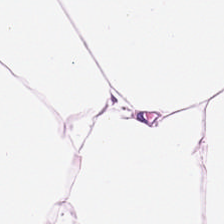H&E. 20× equivalent magnification. 224×224 px patch. Q: What tissue type is shown here?
A: This is adipose.
